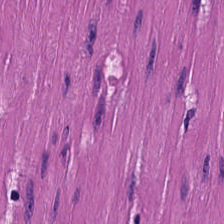224×224 px tile. 20× equivalent magnification. H&E-stained tissue section — The tissue type is muscularis.
